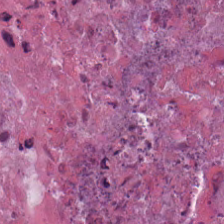Hematoxylin and eosin · 0.5 microns per pixel. Q: Identify the tissue.
A: This is cellular debris.
